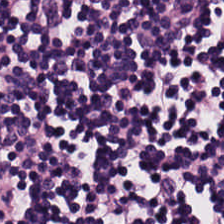Q: What type of tissue is this?
A: It is lymphocytic infiltrate.
